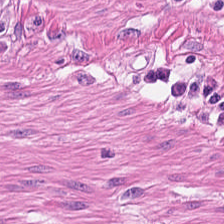Showing muscularis.
